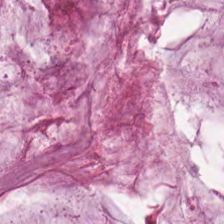WSI patch; hematoxylin-and-eosin stained section — The tissue here is mucus.
